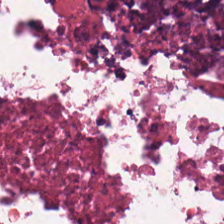H&E-stained tissue section.
Tissue class — necrotic debris.
